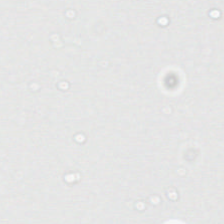FFPE tissue section. Hematoxylin and eosin. No tissue present; background only.
